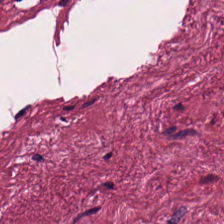H&E-stained tissue section — Predominant tissue — cancer-associated stroma.
